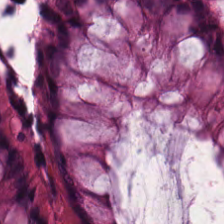H&E-stained tissue section.
Tissue type: normal colon mucosa.
